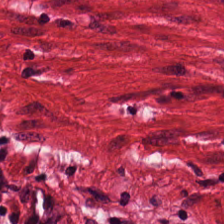Hematoxylin and eosin. Q: What is shown in this field?
A: It is smooth muscle.
